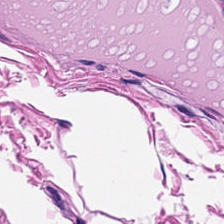Hematoxylin and eosin — Tissue class: smooth muscle.
